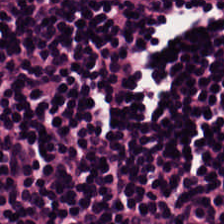H&E stain. Whole-slide-image patch.
Lymphocytes.
